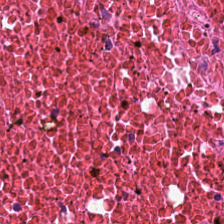Hematoxylin and eosin — Classification = cellular debris.
